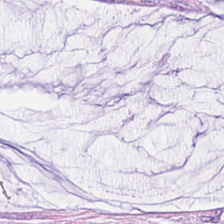20× equivalent magnification. FFPE. Hematoxylin and eosin — The tissue class is extracellular mucin.
